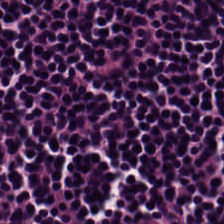224×224 px patch. H&E-stained tissue section — Finding — lymphocyte aggregate.
